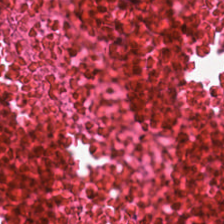Hematoxylin-and-eosin stained section.
The classification is cellular debris.
